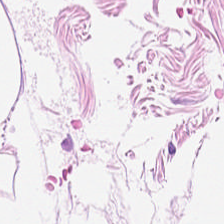224×224 pixel tile; hematoxylin and eosin. Tissue type = adipose.
